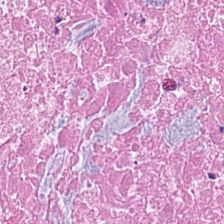FFPE; hematoxylin and eosin — The predominant tissue is cellular debris.
